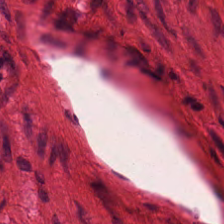Stain: H&E.
Tissue: smooth muscle.
